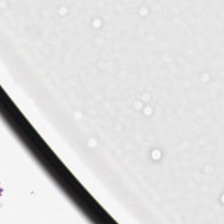Hematoxylin and eosin.
Empty field — empty background.
